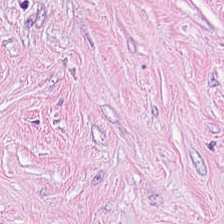0.5 µm/px · H&E · formalin-fixed paraffin-embedded section. The tissue type is cancer-associated stroma.
